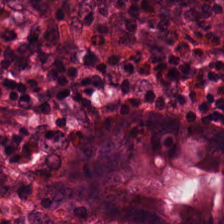Hematoxylin and eosin. The tissue is normal colon mucosa.
